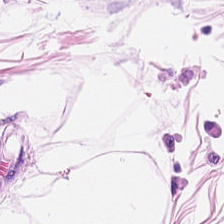Hematoxylin-and-eosin stained section · 0.5 microns per pixel · formalin-fixed paraffin-embedded section — This patch shows fat tissue.
